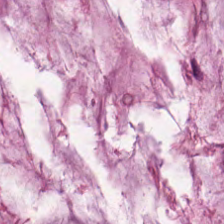H&E-stained tissue section — Predominant tissue — mucus.
